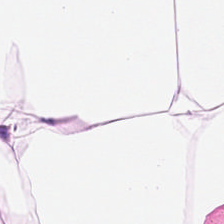H&E stain. 20× equivalent magnification. Finding — adipose tissue.
